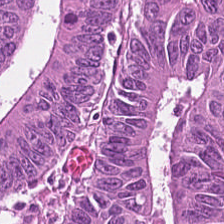Stain: H&E-stained tissue section.
Predominant tissue: colorectal adenocarcinoma.
